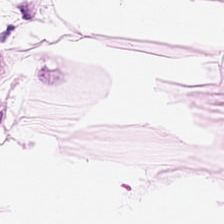Formalin-fixed paraffin-embedded section. H&E.
Predominantly fat tissue.
